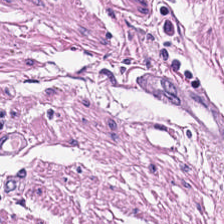Hematoxylin-and-eosin stained section; formalin-fixed paraffin-embedded section — Muscularis.
